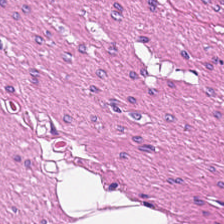FFPE tissue section · hematoxylin-and-eosin stained section. {"tissue_type": "smooth-muscle tissue"}
